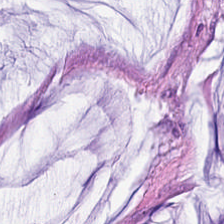H&E · brightfield.
{"tissue_type": "mucin"}
